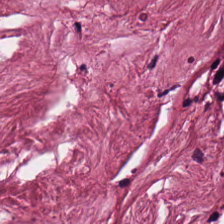Hematoxylin and eosin.
Showing desmoplastic stroma.
